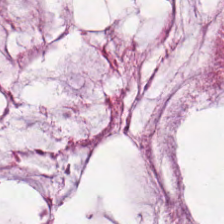{"tissue_type": "mucus"}
